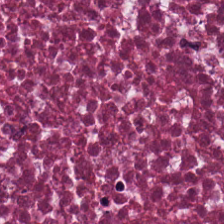Q: What does this patch show?
A: The field shows cellular debris.
